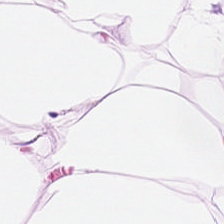FFPE tissue section · 0.5 microns per pixel · H&E — Histology — adipocytes.
